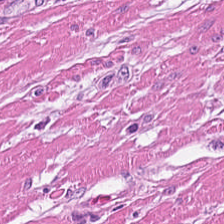H&E stain — The tissue here is muscularis.
